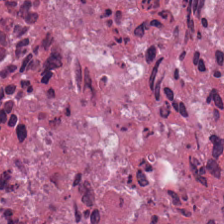Brightfield; H&E-stained tissue section — The tissue is debris.
